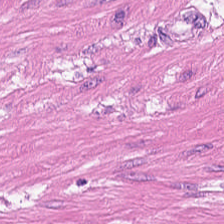Stain: H&E-stained tissue section.
Classification: smooth-muscle tissue.
